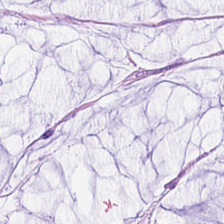The predominant tissue is extracellular mucin.
